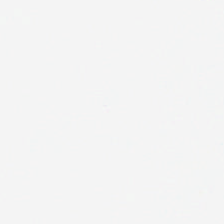H&E-stained tissue section; 0.5 µm per pixel — No tissue present; background only.
